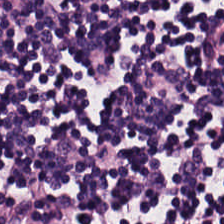H&E-stained tissue section; 0.5 µm per pixel — Impression — lymphocytic infiltrate.
